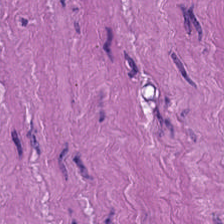H&E — Smooth-muscle tissue.
